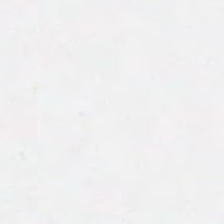Hematoxylin-and-eosin stained section. Classification = no tissue.
